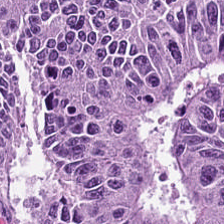H&E stain. 224×224 px tile.
Histology — adenocarcinoma.
